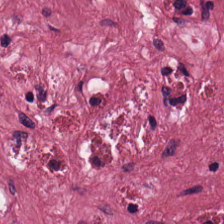Formalin-fixed paraffin-embedded section; hematoxylin and eosin; 0.5 µm per pixel. Histology → cancer-associated stroma.
